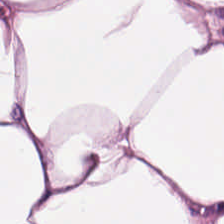Tissue class = adipocytes.
